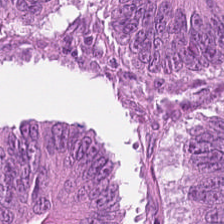H&E · 224×224 px patch. Histology — colorectal adenocarcinoma.
